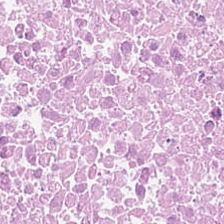The classification is debris.
